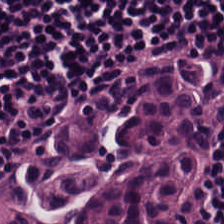224×224 px patch. H&E stain. FFPE tissue section — Q: What tissue is shown?
A: The field shows lymphoid infiltrate.
